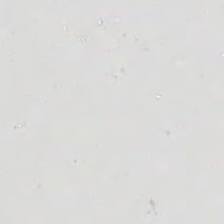Hematoxylin and eosin. Brightfield microscopy — This patch shows empty background.
